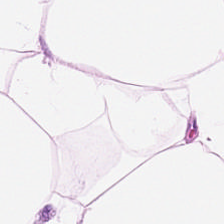H&E stain. Brightfield. Formalin-fixed paraffin-embedded section.
Showing adipose tissue.
